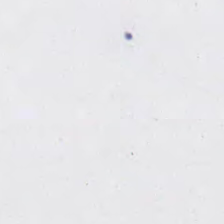Whole-slide-image patch · H&E stain · FFPE — This field is background (no tissue).
